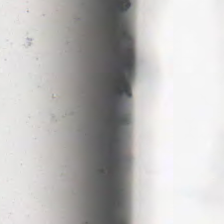WSI patch · hematoxylin and eosin · 224×224 px patch. No tissue present; background only.
